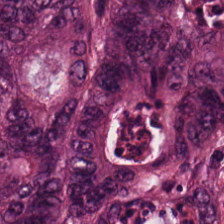Stain: H&E stain.
Tissue class: colorectal adenocarcinoma.
